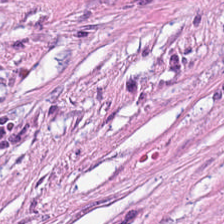Hematoxylin-and-eosin stained section.
Q: Classify this patch.
A: Tumor stroma.
